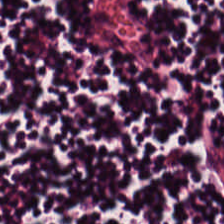Stain: H&E-stained tissue section.
Preparation: FFPE tissue section.
Tissue class: lymphocytes.
